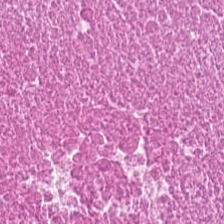H&E-stained tissue section; 0.5 microns per pixel.
{"tissue_type": "necrotic debris"}
